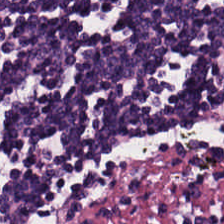H&E-stained section; the field shows lymphocytes.
